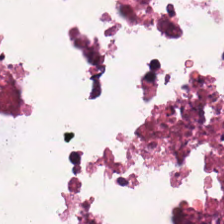Q: What tissue type is shown here?
A: This is debris.
